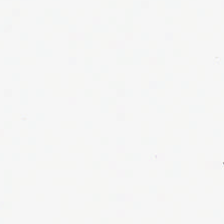H&E. The content is empty background.
